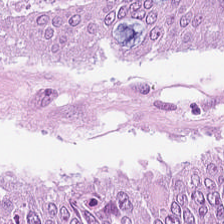Showing colorectal adenocarcinoma epithelium.
